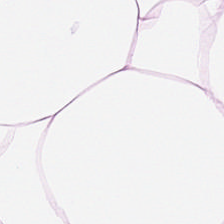Histology → adipose.
